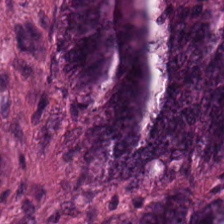Predominant tissue: malignant epithelium.
